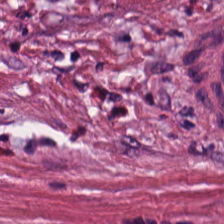H&E-stained tissue section — Classification = cancer-associated stroma.
